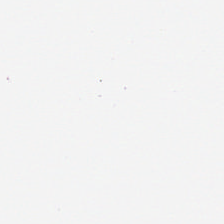0.5 µm per pixel · hematoxylin and eosin — This patch shows background (no tissue).
